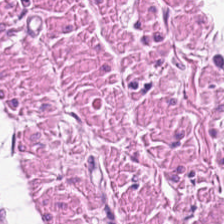H&E. The tissue is smooth-muscle tissue.
